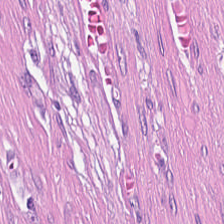Stain: H&E.
Acquisition: brightfield.
Tissue: desmoplastic stroma.
